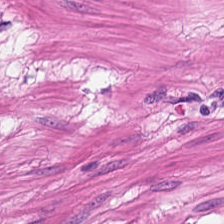FFPE tissue section. Hematoxylin-and-eosin stained section — Showing smooth-muscle tissue.
